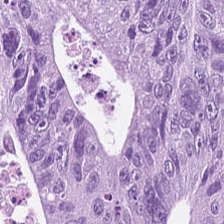Hematoxylin-and-eosin stained section; FFPE. Finding → adenocarcinoma.
